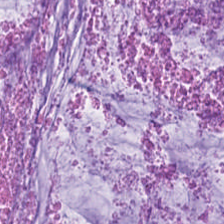FFPE · H&E stain.
The predominant tissue is mucus.
